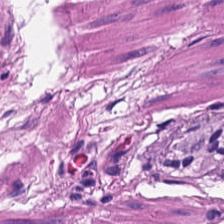Histology → muscularis.
